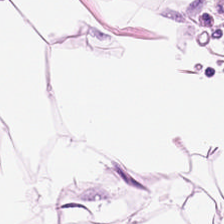H&E. 224×224 px patch. This patch shows adipocytes.
